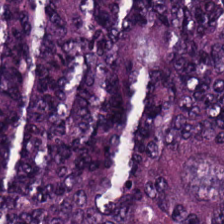H&E stain. Predominantly colorectal adenocarcinoma epithelium.
